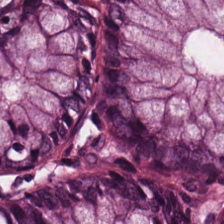{"tissue_type": "benign colonic mucosa"}
